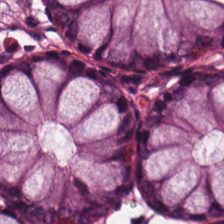H&E. 0.5 microns per pixel — This patch shows benign colonic mucosa.
